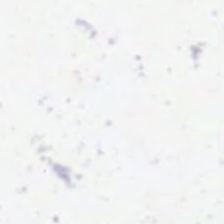Field content: background (no tissue).
